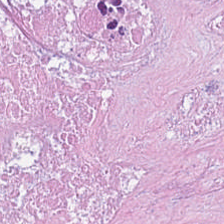This field is debris.
